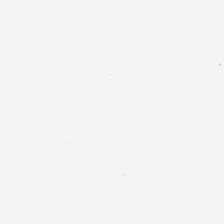Hematoxylin-and-eosin stained section — Field content = background.
